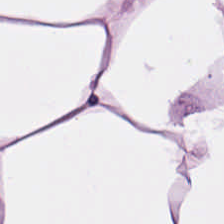224×224 px patch · hematoxylin and eosin. Tissue type: fat tissue.
